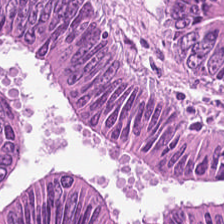H&E — Showing colorectal adenocarcinoma epithelium.
